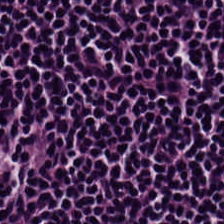H&E-stained tissue section. Q: What tissue type is shown here?
A: Lymphocytic infiltrate.
